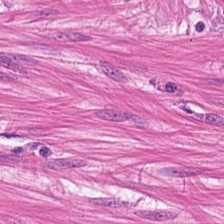H&E-stained tissue section; whole-slide-image patch; 224×224 px patch. Q: What tissue type is shown here?
A: The field shows smooth muscle.
